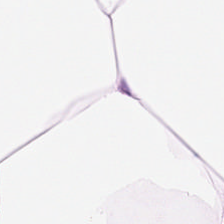Hematoxylin-and-eosin stained section; whole-slide-image patch. Impression — adipose.
